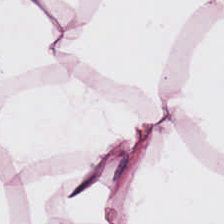Hematoxylin-and-eosin stained section — Q: What type of tissue is this?
A: This is fat tissue.
